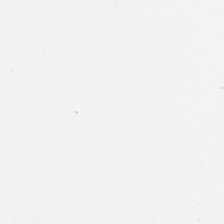Hematoxylin-and-eosin stained section — Q: What is shown here?
A: This is no tissue.
